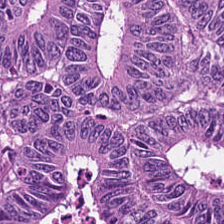H&E-stained tissue section. Brightfield. Q: What is the predominant tissue type?
A: It is colorectal adenocarcinoma.
